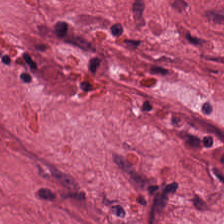FFPE. H&E stain.
{"tissue_type": "cancer-associated stroma"}
